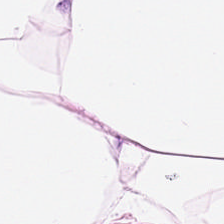FFPE · hematoxylin-and-eosin stained section · 224×224 px patch. Predominantly adipose.
